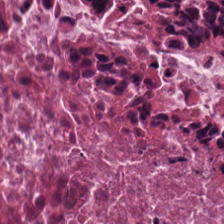Q: Classify this patch.
A: This is necrotic debris.
